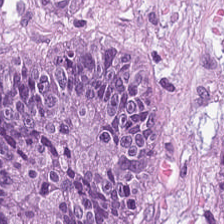H&E. Q: What tissue type is shown here?
A: Colorectal adenocarcinoma epithelium.
